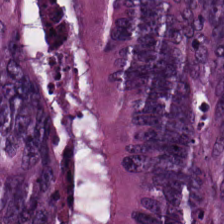Hematoxylin-and-eosin stained section — Tissue — tumor epithelium.
